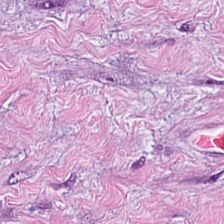Stain: H&E-stained tissue section.
Preparation: FFPE tissue section.
Predominant tissue: tumor stroma.
